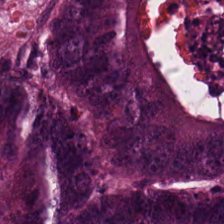H&E stain; FFPE tissue section.
Q: What is shown here?
A: The field shows tumor epithelium.
